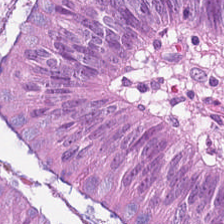Hematoxylin and eosin; 0.5 µm/px. Classification: tumor epithelium.
